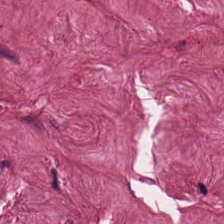Desmoplastic stroma.
